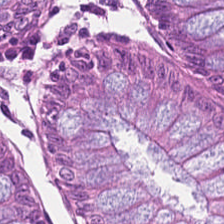H&E-stained tissue section.
Q: What is the predominant tissue type?
A: Normal colonic mucosa.
